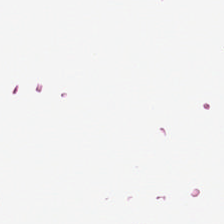Hematoxylin and eosin · 224×224 px tile.
Q: Classify this patch.
A: It is background.
